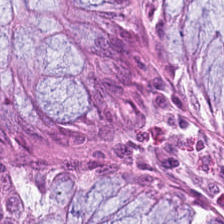Whole-slide-image patch · hematoxylin-and-eosin stained section. Q: What tissue type is shown here?
A: It is non-neoplastic colon mucosa.
